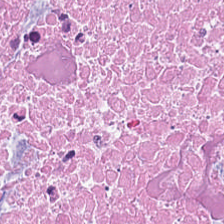H&E-stained tissue section; WSI patch. The predominant tissue is cellular debris.
